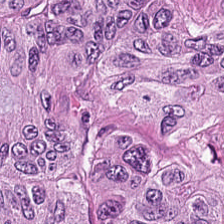Hematoxylin-and-eosin stained section. 0.5 microns per pixel — {"tissue_type": "tumor epithelium"}
